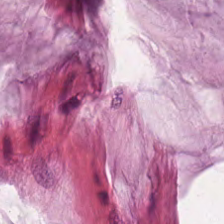Finding — mucin.
